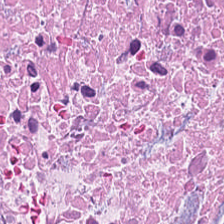Hematoxylin-and-eosin stained section. Formalin-fixed paraffin-embedded section. 0.5 µm/px. The predominant tissue is cellular debris.
